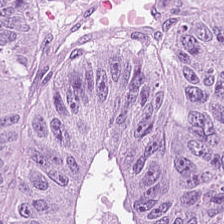Predominantly tumor epithelium.
